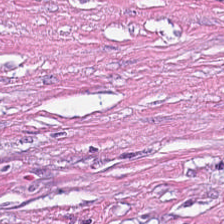0.5 µm per pixel; WSI patch; H&E-stained tissue section — The predominant tissue is cancer-associated stroma.
